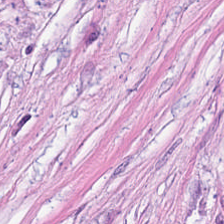FFPE; H&E stain. The predominant tissue is tumor-associated stroma.
